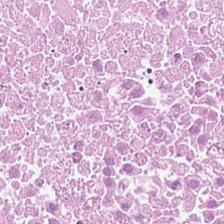H&E stain. This patch shows debris.
